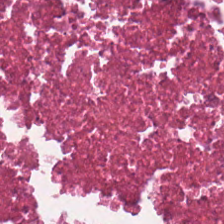Hematoxylin-and-eosin stained section.
Showing debris.
